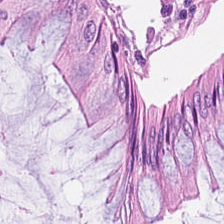H&E patch showing benign colonic mucosa.
